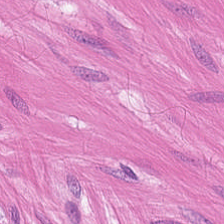FFPE; H&E-stained tissue section — Predominantly muscularis.
